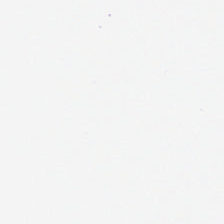Stain: hematoxylin-and-eosin stained section.
Resolution: 0.5 microns per pixel.
Content: background.
